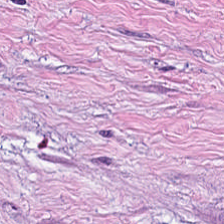H&E stain. 0.5 µm per pixel. 224×224 px tile — Tissue type = desmoplastic stroma.
